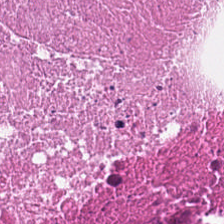H&E stain — This field is necrotic debris.
